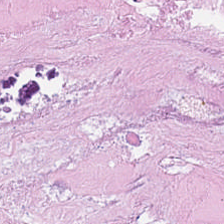Whole-slide-image patch. 0.5 µm per pixel. H&E-stained tissue section — The tissue here is necrotic debris.
